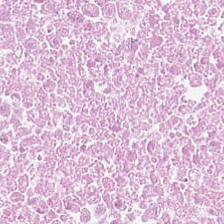Hematoxylin and eosin · FFPE — Predominant tissue — debris.
